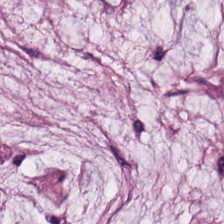Brightfield microscopy · 20× equivalent magnification · H&E. Classification = extracellular mucin.
